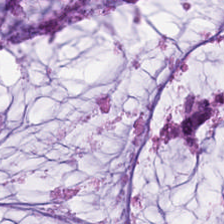Hematoxylin-and-eosin stained section · brightfield microscopy. Histology — mucin.
